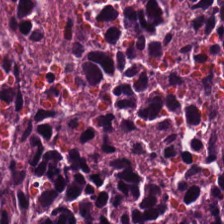Hematoxylin-and-eosin stained section. Lymphocytes.
